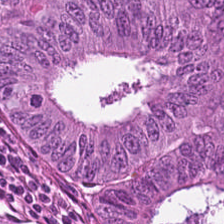The predominant tissue is malignant epithelium.
